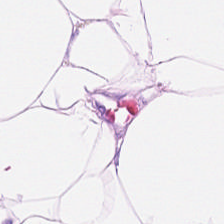Stain: H&E-stained tissue section.
Predominant tissue: fat tissue.
